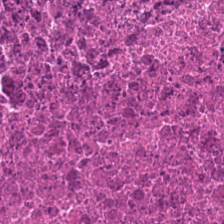Hematoxylin-and-eosin stained section — The predominant tissue is debris.
